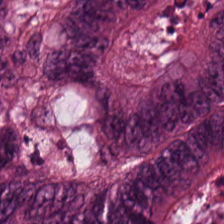FFPE. Hematoxylin and eosin. 224×224 px patch — Tissue — extracellular mucin.
